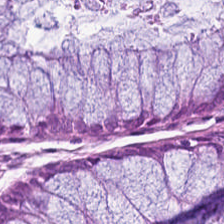Impression → normal colon mucosa.
